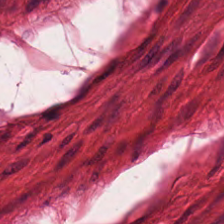Stain: H&E stain.
Tissue: smooth-muscle tissue.
